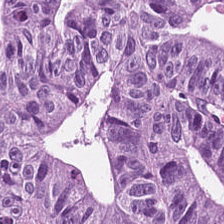Stain: hematoxylin and eosin.
Predominant tissue: tumor epithelium.
